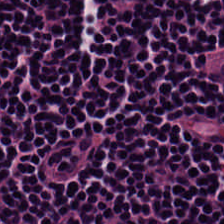Stain: hematoxylin-and-eosin stained section.
Predominant tissue: lymphocyte aggregate.
